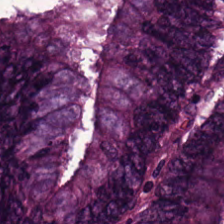H&E.
The tissue here is tumor epithelium.
